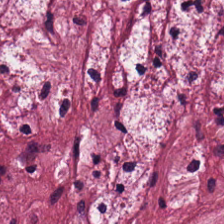This patch shows tumor-associated stroma.
